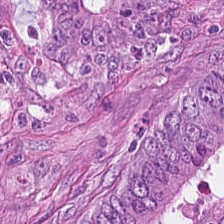Hematoxylin and eosin. 0.5 microns per pixel. FFPE tissue section — Q: What does this patch show?
A: It is colorectal adenocarcinoma epithelium.
